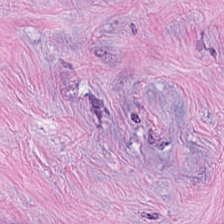Hematoxylin and eosin.
This patch shows tumor-associated stroma.
